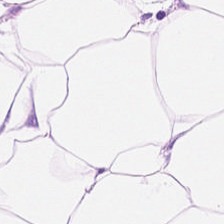H&E stain. Showing adipocytes.
